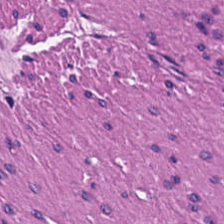H&E patch showing smooth-muscle tissue.
